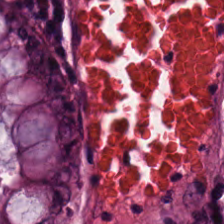This patch shows non-neoplastic colon mucosa.
